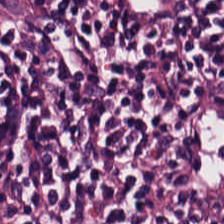FFPE tissue section · 0.5 µm per pixel · H&E.
The predominant tissue is lymphocytic infiltrate.
